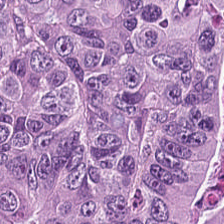Hematoxylin-and-eosin stained section.
Showing malignant epithelium.
